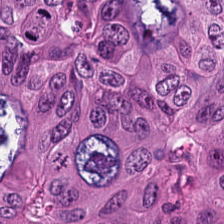H&E — Finding → colorectal adenocarcinoma epithelium.
